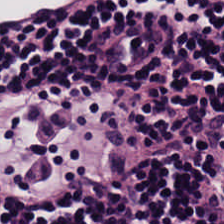FFPE tissue section; H&E; 20× equivalent magnification. Lymphoid infiltrate.
